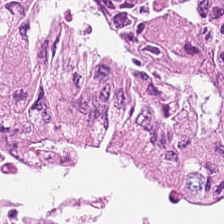Hematoxylin and eosin.
The predominant tissue is tumor epithelium.
